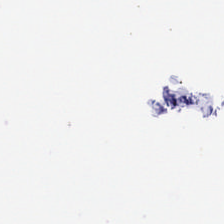Content — background (no tissue).
